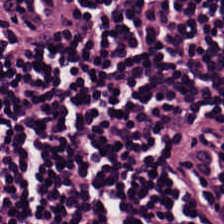H&E-stained section; the field shows lymphocytic infiltrate.
